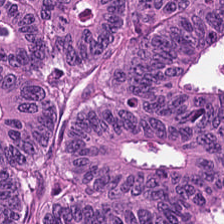Finding → colorectal adenocarcinoma.
